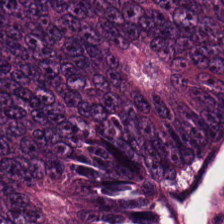H&E.
The tissue type is tumor epithelium.
